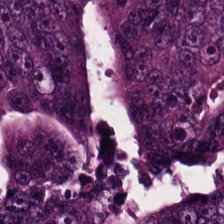H&E-stained section; the field shows colorectal adenocarcinoma epithelium.
